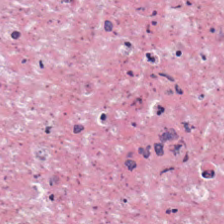Whole-slide-image patch · hematoxylin and eosin — The tissue is debris.
